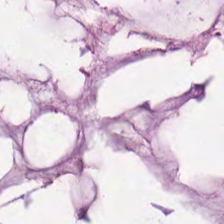H&E-stained tissue section — The tissue here is mucus.
